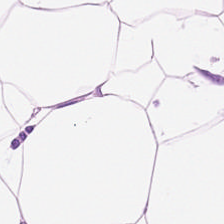H&E stain. Predominantly adipocytes.
